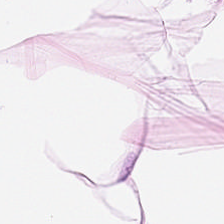Stain: hematoxylin and eosin.
Predominant tissue: adipocytes.
